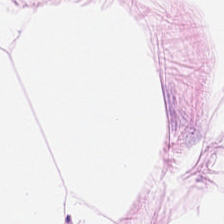Hematoxylin-and-eosin stained section — Q: What is shown here?
A: It is fat tissue.
